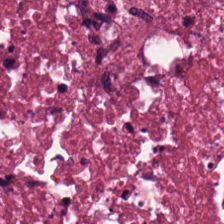Hematoxylin-and-eosin stained section.
Showing cellular debris.
